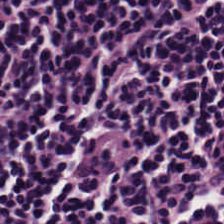H&E stain; 20× equivalent magnification — The tissue here is lymphocytic infiltrate.
